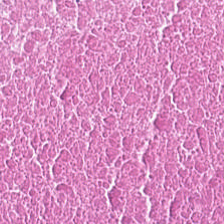H&E stain; 224×224 px patch. Tissue class: cellular debris.
